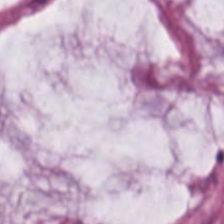Histology → extracellular mucin.
